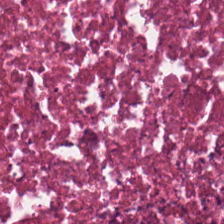H&E stain. Predominant tissue — debris.
